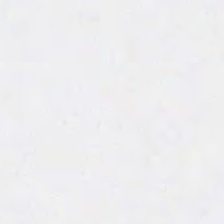H&E stain · WSI patch.
Impression — empty background.
